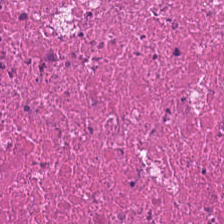H&E-stained tissue section. The predominant tissue is necrotic debris.
